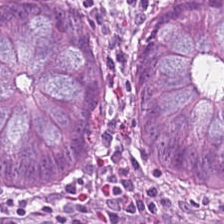Brightfield microscopy; 0.5 microns per pixel; H&E stain.
Non-neoplastic colon mucosa.
